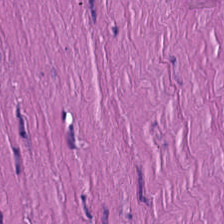Tissue type = muscularis.
